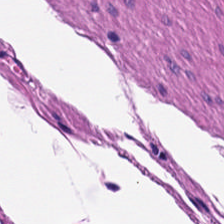H&E.
Tissue: smooth muscle.
